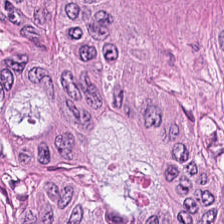Predominantly colorectal adenocarcinoma epithelium.
